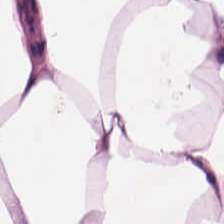0.5 µm/px · hematoxylin-and-eosin stained section. The tissue here is adipose.
